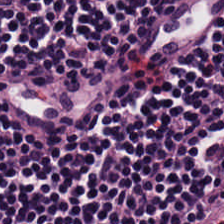Tissue: lymphocytic infiltrate.
